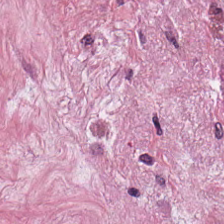224×224 pixel tile · H&E stain. This field is desmoplastic stroma.
